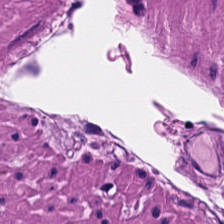Hematoxylin-and-eosin stained section.
Tissue class = smooth-muscle tissue.
